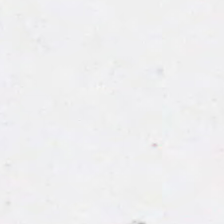H&E stain. Content = no tissue.
